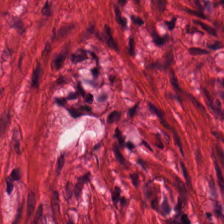Hematoxylin-and-eosin stained section; 0.5 µm/px. Classification = smooth muscle.
